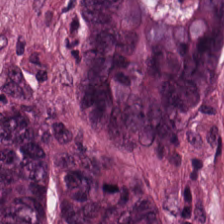FFPE tissue section. H&E-stained tissue section. Classification = malignant epithelium.
